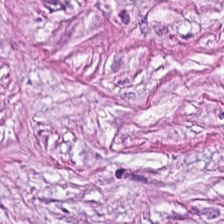Hematoxylin and eosin. Formalin-fixed paraffin-embedded section — Q: What is shown here?
A: This is tumor stroma.
